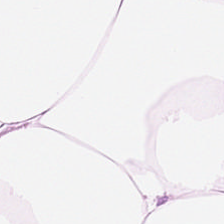224×224 px patch · H&E-stained tissue section — Tissue: adipose.
